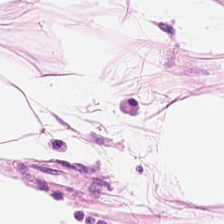H&E-stained tissue section — The predominant tissue is fat tissue.
